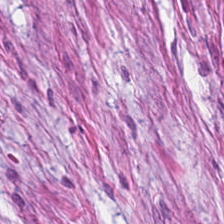Hematoxylin and eosin. The classification is tumor stroma.
